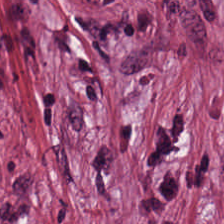H&E stain — The predominant tissue is tumor-associated stroma.
